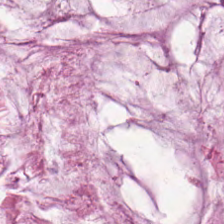224×224 px tile · H&E. This patch shows mucin.
